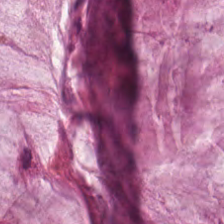H&E-stained tissue section — The tissue here is mucus.
